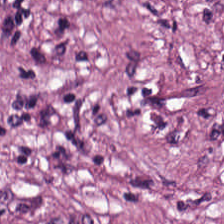{"tissue_type": "tumor stroma"}
